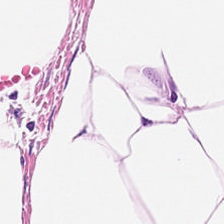Hematoxylin-and-eosin stained section.
Q: What tissue is shown?
A: It is adipocytes.
